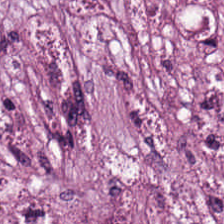H&E. Q: Classify this patch.
A: It is desmoplastic stroma.
